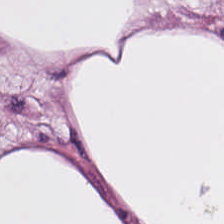Stain: hematoxylin-and-eosin stained section.
Predominant tissue: adipose tissue.
